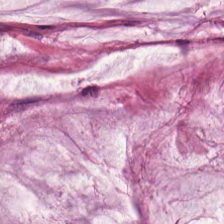Hematoxylin and eosin; 0.5 µm/px.
Finding → extracellular mucin.
